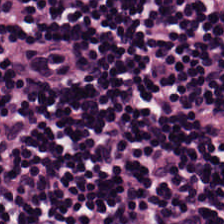Hematoxylin-and-eosin stained section · FFPE tissue section.
Q: What tissue is shown?
A: It is lymphocytic infiltrate.
